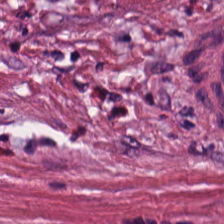Q: What tissue is shown?
A: The field shows desmoplastic stroma.
